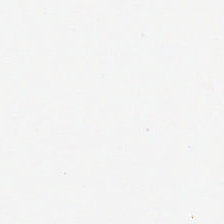H&E-stained tissue section.
Field content = empty background.
